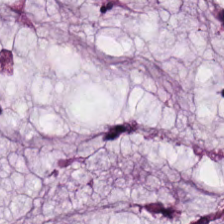H&E stain — The tissue type is mucus.
